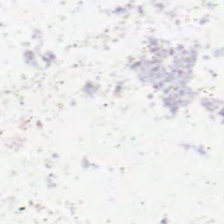Hematoxylin-and-eosin stained section.
{"content": "empty background"}
